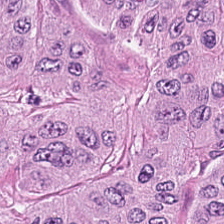FFPE tissue section. H&E — The tissue here is colorectal adenocarcinoma.
